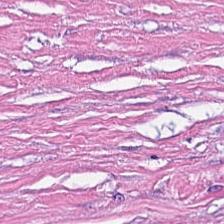Stain: H&E.
Preparation: formalin-fixed paraffin-embedded section.
Resolution: 20× equivalent magnification.
Tissue class: cancer-associated stroma.
